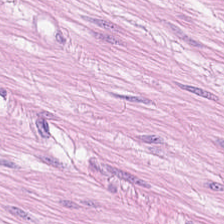Stain: H&E-stained tissue section.
Classification: smooth muscle.
